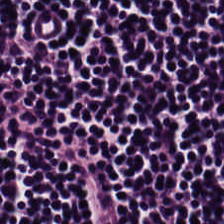{"tissue_type": "lymphocytes"}
